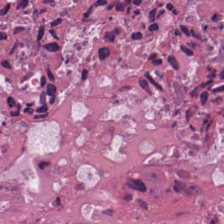Hematoxylin-and-eosin stained section — The tissue here is necrotic debris.
